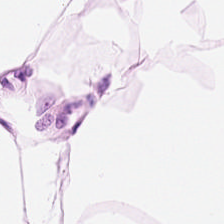224×224 px tile. H&E stain. FFPE tissue section — This field is adipose.
